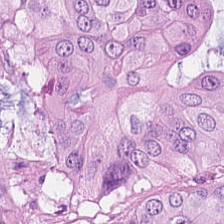Hematoxylin-and-eosin stained section — Histology → tumor epithelium.
